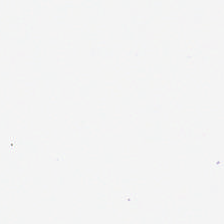Hematoxylin and eosin. Finding — background (no tissue).
